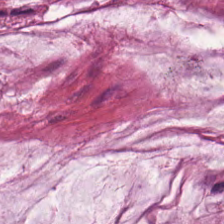H&E patch showing mucin.
